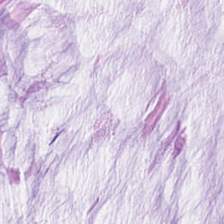FFPE. H&E. 0.5 µm per pixel — Mucus.
